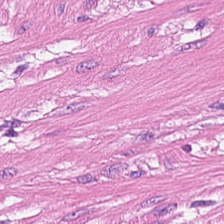Stain: H&E stain.
Tissue class: smooth-muscle tissue.
